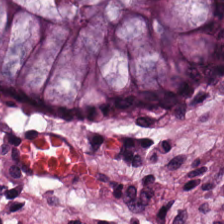0.5 µm per pixel · FFPE · H&E-stained tissue section. Predominant tissue: benign colonic mucosa.
